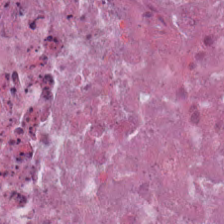H&E stain — Tissue type: necrotic debris.
